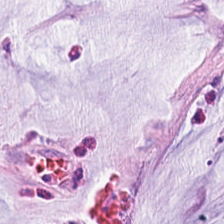Showing mucus.
